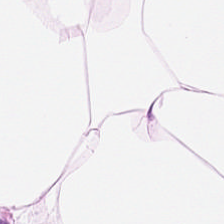0.5 µm per pixel. H&E stain. 224×224 pixel tile. This field is fat tissue.
